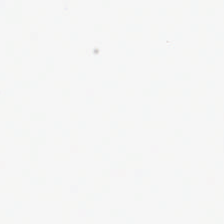Hematoxylin-and-eosin stained section · 224×224 pixel tile · formalin-fixed paraffin-embedded section.
Classification — background (no tissue).
